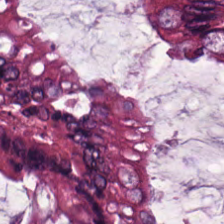Stain: H&E.
Predominant tissue: normal colon mucosa.
